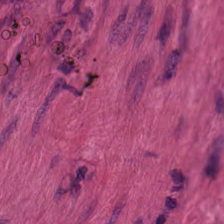FFPE tissue section · H&E-stained tissue section · 0.5 µm per pixel.
Tissue class — muscularis.
